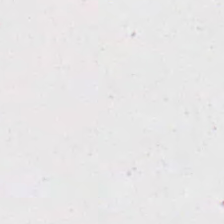Hematoxylin-and-eosin stained section; 0.5 µm per pixel; formalin-fixed paraffin-embedded section — Empty background.
